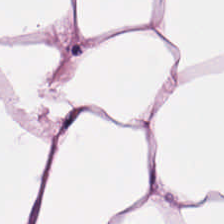FFPE · H&E · 224×224 pixel tile.
Classification: adipose.
